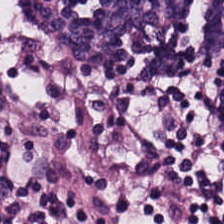H&E. The tissue is lymphoid infiltrate.
